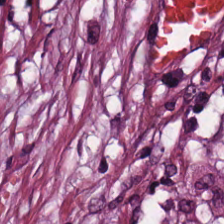Q: Classify this patch.
A: It is cancer-associated stroma.
